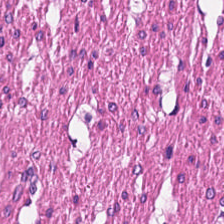Stain: hematoxylin and eosin.
Acquisition: brightfield.
Tissue type: smooth-muscle tissue.
